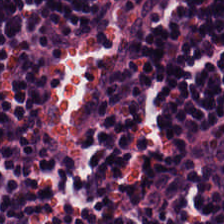Hematoxylin-and-eosin stained section. Q: Identify the tissue.
A: It is lymphocyte aggregate.
